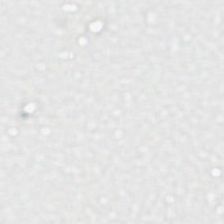H&E-stained tissue section. 224×224 px patch. {"content": "background"}
